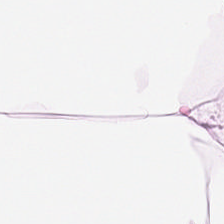FFPE tissue section; hematoxylin and eosin; 0.5 microns per pixel — Impression — fat tissue.
